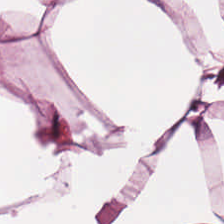H&E-stained section; the field shows fat tissue.
